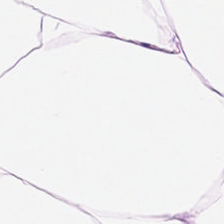Q: What tissue type is shown here?
A: This is adipose.
